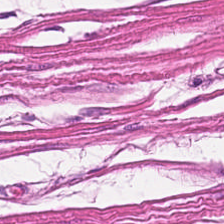H&E stain. This patch shows smooth muscle.
